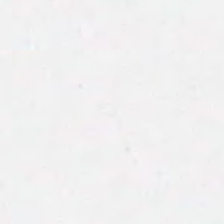H&E stain. Field content = empty background.
